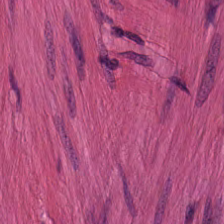H&E · 0.5 µm/px · 224×224 px tile.
Finding → smooth muscle.
